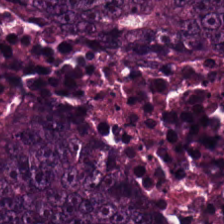H&E stain; whole-slide-image patch — The tissue class is colorectal adenocarcinoma epithelium.
